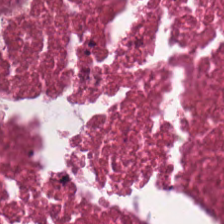H&E-stained tissue section.
The predominant tissue is necrotic debris.
